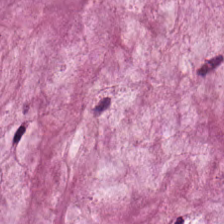H&E-stained tissue section showing mucus.
